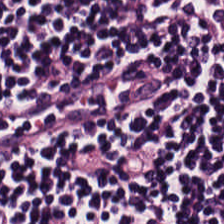The predominant tissue is lymphocytic infiltrate.
